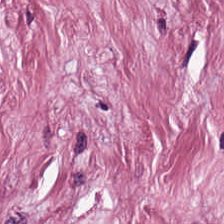Hematoxylin and eosin. The tissue here is cancer-associated stroma.
